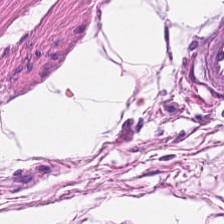Formalin-fixed paraffin-embedded section · H&E stain · 0.5 µm per pixel — The tissue is smooth-muscle tissue.
